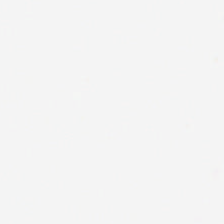224×224 pixel tile · H&E-stained tissue section · formalin-fixed paraffin-embedded section. {"content": "background (no tissue)"}
